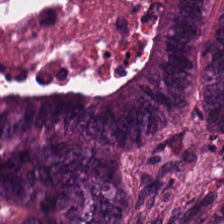H&E-stained tissue section — The tissue type is adenocarcinoma.
